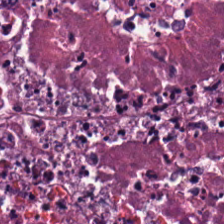Histology → cellular debris.
